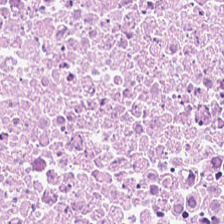FFPE tissue section; H&E; brightfield microscopy.
{"tissue_type": "debris"}
